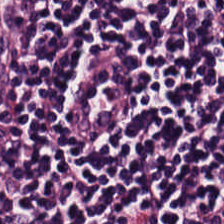Hematoxylin-and-eosin section: lymphocyte aggregate.
